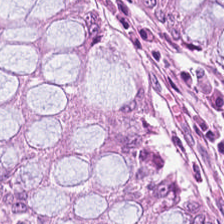H&E. 224×224 px patch — Predominantly benign colonic mucosa.
